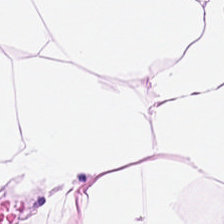0.5 microns per pixel. H&E — Adipose tissue.
